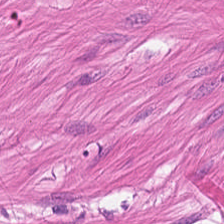FFPE · H&E stain. The predominant tissue is muscularis.
